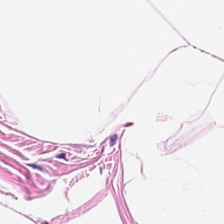H&E-stained tissue section.
This field is adipose.
